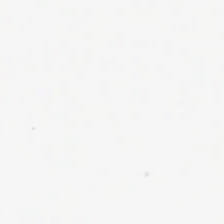Formalin-fixed paraffin-embedded section; 224×224 px patch; H&E stain.
No tissue present; background only.
